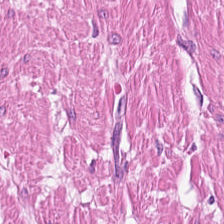0.5 microns per pixel · H&E stain · 224×224 px patch. Q: What is the predominant tissue type?
A: It is smooth-muscle tissue.
